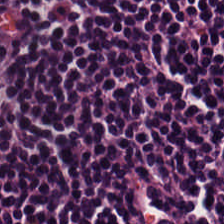H&E · 224×224 pixel tile.
Q: Classify this patch.
A: This is lymphocytes.
